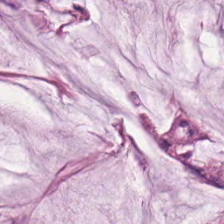Hematoxylin-and-eosin stained section — Showing mucus.
